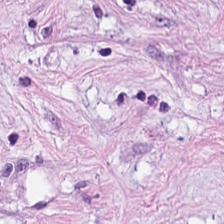Stain: H&E stain.
Tissue class: tumor-associated stroma.
